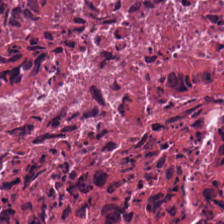H&E. Brightfield microscopy. The predominant tissue is necrotic debris.
